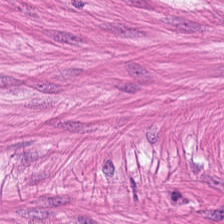H&E-stained tissue section. Smooth-muscle tissue.
